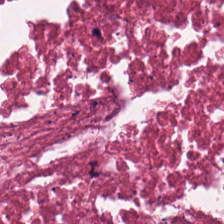Stain: H&E-stained tissue section.
Predominant tissue: necrotic debris.
